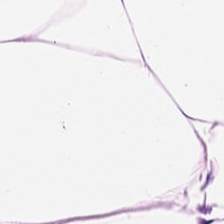H&E — The classification is adipose.
